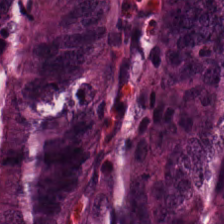H&E stain. 224×224 px tile. Whole-slide-image patch. The predominant tissue is colorectal adenocarcinoma.
